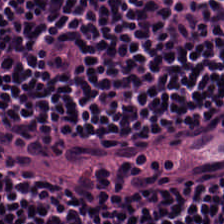H&E-stained tissue section showing lymphocytic infiltrate.
